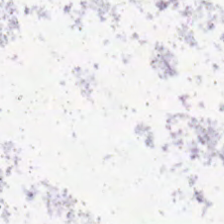Formalin-fixed paraffin-embedded section. H&E. Q: What is shown here?
A: The field shows background.
